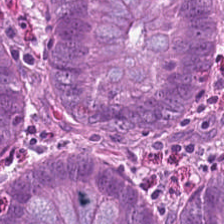H&E-stained tissue section · FFPE — {"tissue_type": "normal colon mucosa"}
